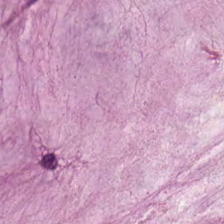H&E — The predominant tissue is mucin.
